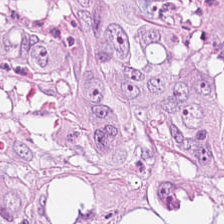H&E stain.
Impression → colorectal adenocarcinoma epithelium.
